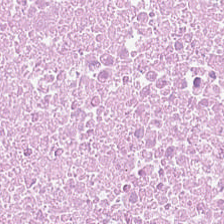H&E-stained tissue section.
The predominant tissue is cellular debris.
